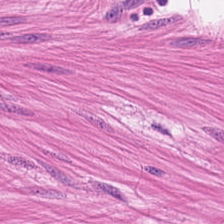H&E patch showing smooth muscle.
